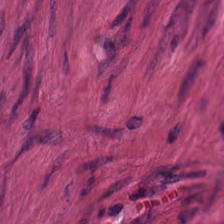Predominant tissue = muscularis.
